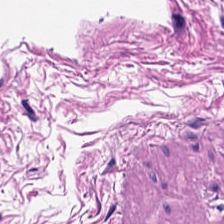WSI patch. Hematoxylin-and-eosin stained section. 224×224 px patch — {"tissue_type": "smooth muscle"}
